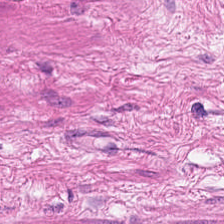Smooth-muscle tissue.
